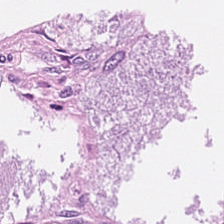H&E stain — Predominant tissue: colorectal adenocarcinoma epithelium.
